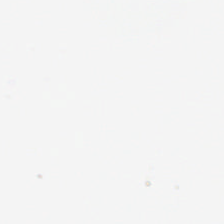224×224 px tile. Hematoxylin-and-eosin stained section.
Q: Classify this patch.
A: It is background.
